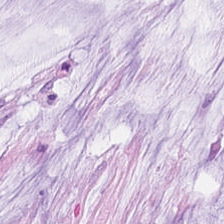This patch shows mucus.
